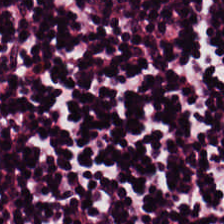Hematoxylin and eosin — Impression → lymphocytes.
